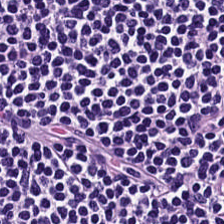Predominant tissue — lymphoid infiltrate.
